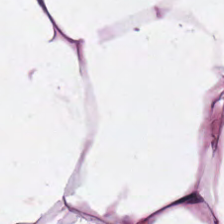This field is adipose.
